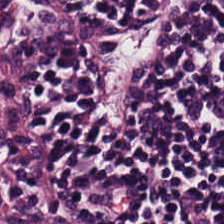Impression — lymphocytes.
